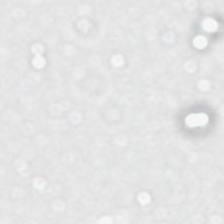Stain: H&E.
Acquisition: WSI patch.
Content: background (no tissue).
